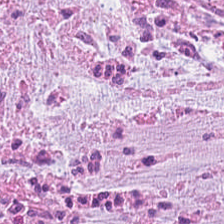Tumor-associated stroma.
